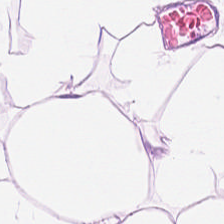H&E — adipocytes.
